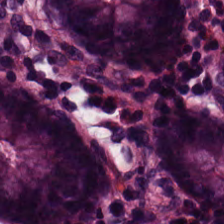{"tissue_type": "non-neoplastic colon mucosa"}
